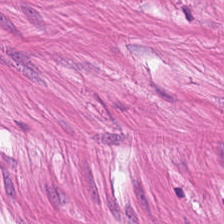Hematoxylin and eosin · whole-slide-image patch. The predominant tissue is smooth muscle.
